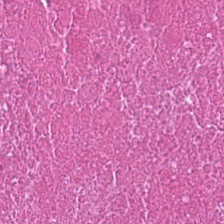Stain: H&E.
Tile size: 224×224 px patch.
Acquisition: brightfield.
Predominant tissue: necrotic debris.
